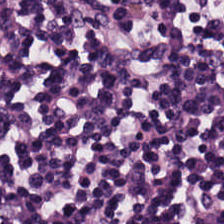Stain: hematoxylin and eosin.
Predominant tissue: lymphocytic infiltrate.
